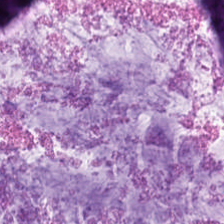Brightfield microscopy; FFPE; H&E-stained tissue section — This patch shows mucus.
